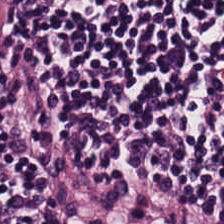H&E stain — This field is lymphoid infiltrate.
